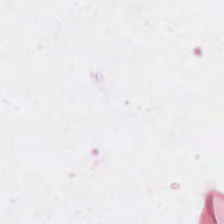Classification = no tissue.
